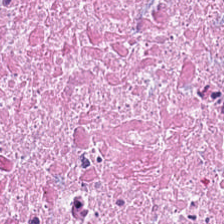Stain: hematoxylin and eosin.
Tissue class: necrotic debris.
